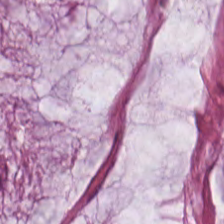H&E stain. Brightfield. Formalin-fixed paraffin-embedded section. The predominant tissue is extracellular mucin.
